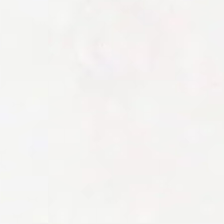Hematoxylin-and-eosin stained section. 20× equivalent magnification. Whole-slide-image patch — Field content = background.
